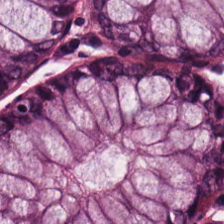Hematoxylin-and-eosin section: non-neoplastic colon mucosa.
